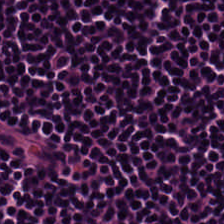20× equivalent magnification; H&E stain — The classification is lymphocytes.
